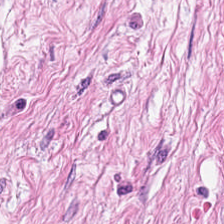Hematoxylin and eosin. Predominantly desmoplastic stroma.
